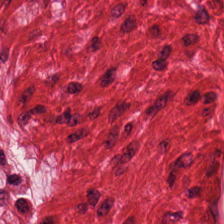Stain: H&E-stained tissue section.
Tissue: smooth muscle.
